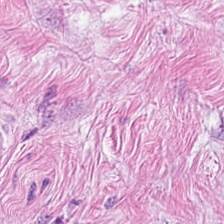Stain: H&E-stained tissue section.
Resolution: 20× equivalent magnification.
Tile size: 224×224 px tile.
Tissue type: tumor-associated stroma.
